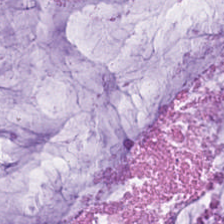Hematoxylin-and-eosin stained section · FFPE.
Predominant tissue = mucin.
